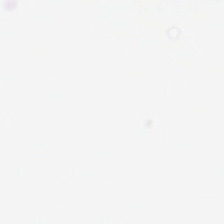The field content is no tissue.
